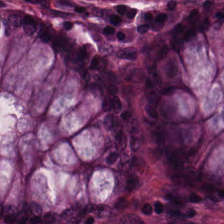FFPE · brightfield microscopy · H&E-stained tissue section. Tissue type — benign colonic mucosa.
